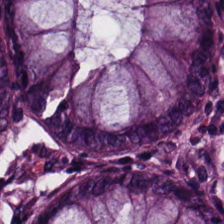H&E · WSI patch — The tissue class is normal colon mucosa.
